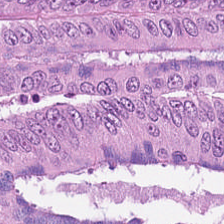Finding — colorectal adenocarcinoma.
